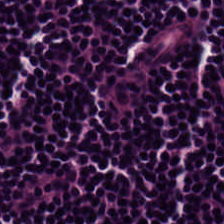Hematoxylin-and-eosin stained section — This patch shows lymphocytes.
